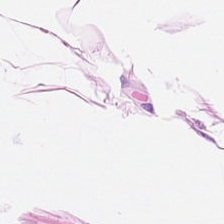Brightfield microscopy. Hematoxylin-and-eosin stained section. 224×224 px tile — Tissue = adipose.
